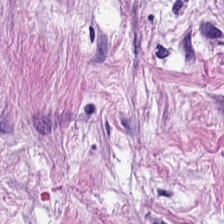224×224 px tile; 0.5 microns per pixel; H&E-stained tissue section. This patch shows tumor-associated stroma.
